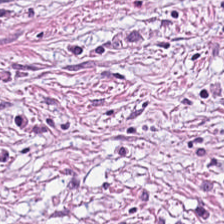Stain: H&E-stained tissue section.
Acquisition: brightfield.
Tissue class: tumor-associated stroma.
